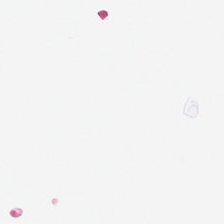Formalin-fixed paraffin-embedded section. H&E stain. 0.5 µm/px. {"content": "no tissue"}
